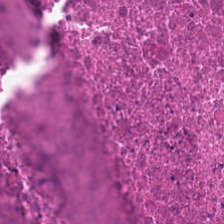Hematoxylin-and-eosin stained section; WSI patch.
Q: What tissue is shown?
A: This is cellular debris.
